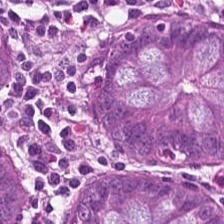H&E-stained tissue section. Showing non-neoplastic colon mucosa.
